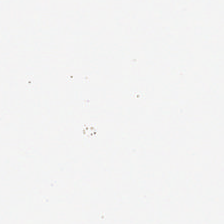Empty field — background.
